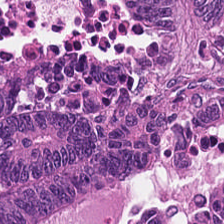Stain: H&E stain.
Predominant tissue: colorectal adenocarcinoma.
